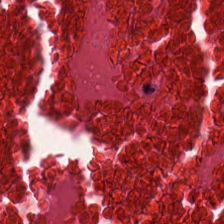Stain: H&E.
Preparation: FFPE tissue section.
Predominant tissue: cellular debris.
